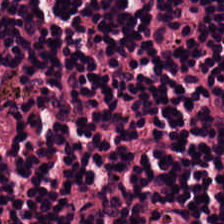Formalin-fixed paraffin-embedded section. H&E-stained tissue section.
Lymphocyte aggregate.
